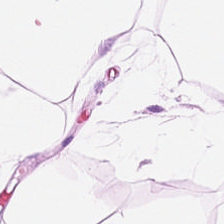H&E. 0.5 µm per pixel.
Tissue type = adipose.
